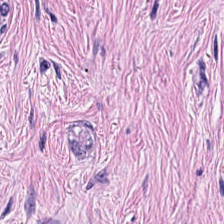Hematoxylin-and-eosin section: cancer-associated stroma.
